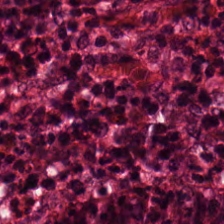H&E stain. Formalin-fixed paraffin-embedded section. 20× equivalent magnification. The predominant tissue is normal colonic mucosa.
